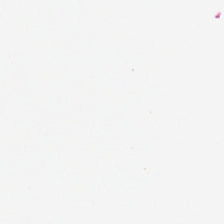H&E stain; 224×224 px tile.
Empty field — no tissue.
